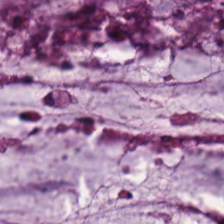H&E-stained tissue section. FFPE. Showing mucus.
